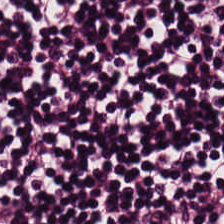FFPE · H&E-stained tissue section — Q: What is the predominant tissue type?
A: This is lymphocytic infiltrate.
